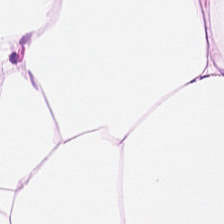224×224 pixel tile · hematoxylin and eosin. This patch shows adipocytes.
